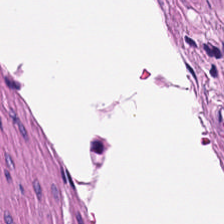FFPE tissue section · 224×224 px tile · H&E. {"tissue_type": "muscularis"}
